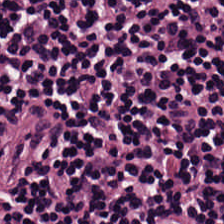224×224 px tile · 0.5 µm/px · H&E.
Predominant tissue: lymphoid infiltrate.
